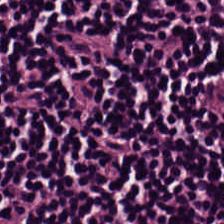Hematoxylin and eosin — {"tissue_type": "lymphocytes"}
